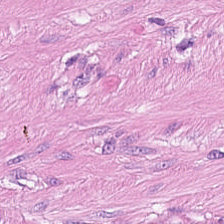H&E stain. Q: What type of tissue is this?
A: Muscularis.
